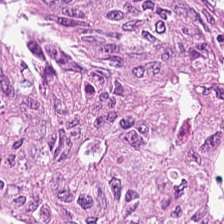This field is tumor epithelium.
